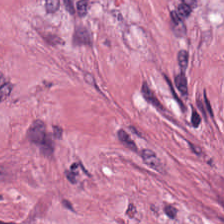Formalin-fixed paraffin-embedded section. WSI patch. H&E stain. This patch shows tumor stroma.
